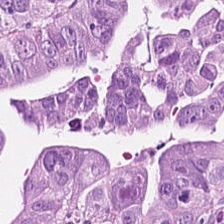Hematoxylin-and-eosin stained section. The tissue type is colorectal adenocarcinoma.
